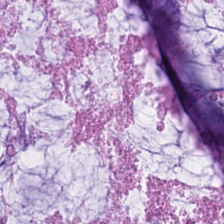Q: Classify this patch.
A: The field shows mucin.
